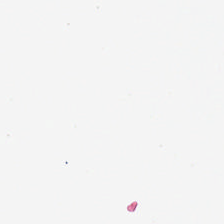FFPE. Hematoxylin-and-eosin stained section. 0.5 µm per pixel. Histology — no tissue.
